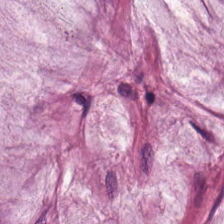0.5 µm per pixel. FFPE. Hematoxylin and eosin — Q: What tissue type is shown here?
A: Mucus.
